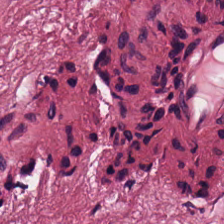The classification is desmoplastic stroma.
